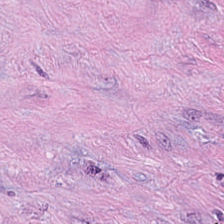Stain: hematoxylin-and-eosin stained section.
Tissue class: tumor-associated stroma.
